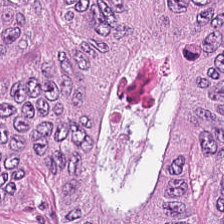Stain: H&E stain.
Tissue: adenocarcinoma.
